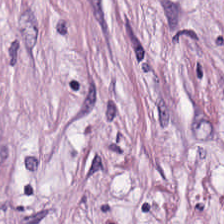The tissue here is tumor-associated stroma.
